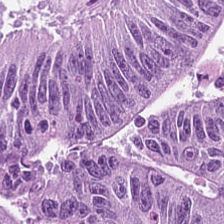224×224 px tile; H&E stain; FFPE tissue section. Tissue class — malignant epithelium.
